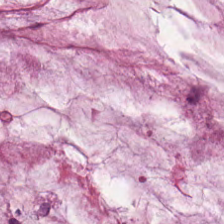Stain: H&E.
Tissue: mucus.
